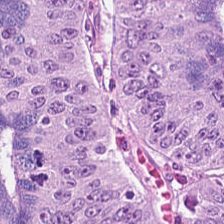H&E stain.
Predominantly tumor epithelium.
